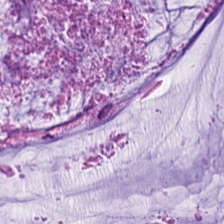H&E stain; FFPE; whole-slide-image patch.
The tissue class is mucin.
